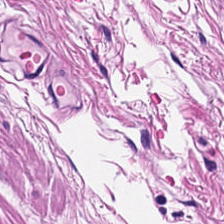Hematoxylin and eosin.
The tissue here is muscularis.
